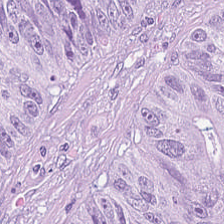The tissue here is adenocarcinoma.
